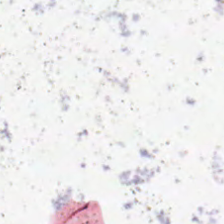Content = background (no tissue).
